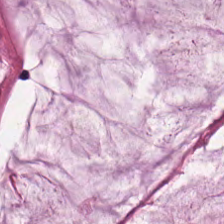Hematoxylin-and-eosin stained section. This patch shows extracellular mucin.
